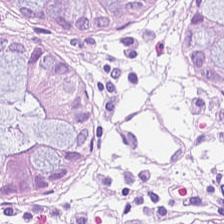Hematoxylin and eosin; brightfield microscopy — Tissue type: normal colon mucosa.
